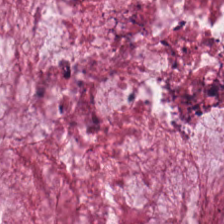224×224 px patch · H&E · FFPE — Tissue — mucus.
